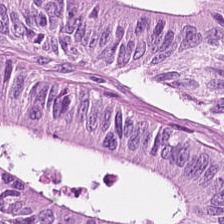H&E stain — Q: What is the predominant tissue type?
A: Adenocarcinoma.
